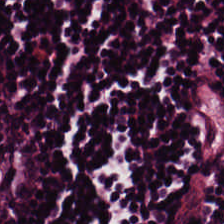H&E stain. Tissue type: lymphocytic infiltrate.
